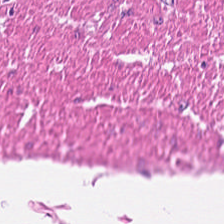Q: Classify this patch.
A: This is smooth muscle.
